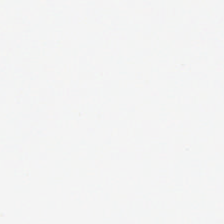Stain: H&E-stained tissue section.
Classification: no tissue.
